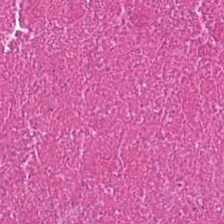Hematoxylin and eosin. Finding — debris.
